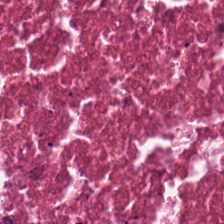224×224 px tile; H&E-stained tissue section.
Tissue class: necrotic debris.
